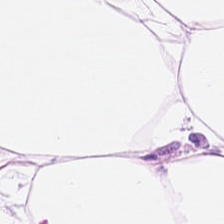Hematoxylin-and-eosin stained section. Finding → adipocytes.
